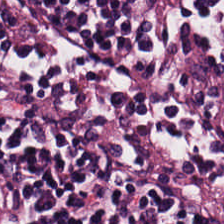H&E.
This patch shows lymphocytic infiltrate.
